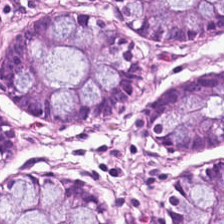Hematoxylin-and-eosin stained section — This patch shows non-neoplastic colon mucosa.
